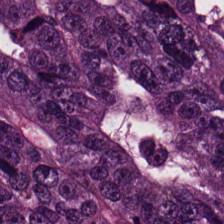Hematoxylin-and-eosin stained section.
Tissue type: malignant epithelium.
